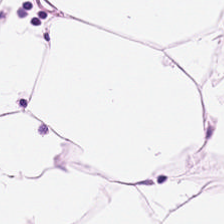Stain: hematoxylin-and-eosin stained section.
Tissue: fat tissue.
